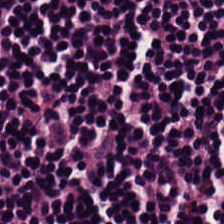H&E stain — {"tissue_type": "lymphoid infiltrate"}
